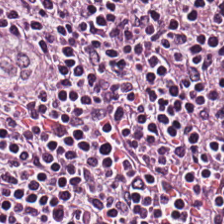Hematoxylin and eosin.
The tissue here is lymphocyte aggregate.
